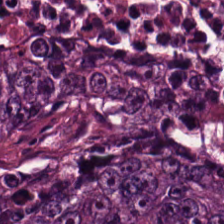Stain: H&E.
Tissue: colorectal adenocarcinoma epithelium.
